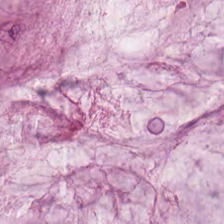Hematoxylin-and-eosin stained section. The predominant tissue is mucus.
